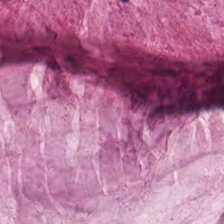H&E stain — Showing mucin.
